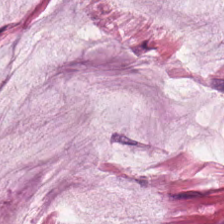FFPE. Hematoxylin-and-eosin stained section. Brightfield microscopy. This patch shows extracellular mucin.
